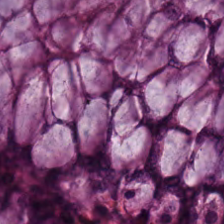H&E-stained tissue section. Tissue: normal colonic mucosa.
